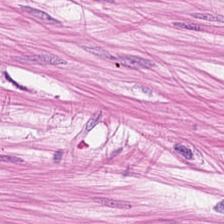H&E stain. Smooth-muscle tissue.
